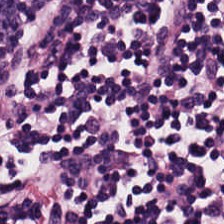Brightfield · 224×224 px patch · hematoxylin and eosin.
This field is lymphocytic infiltrate.
